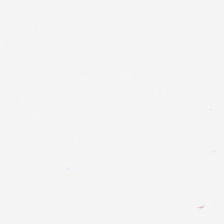Stain: H&E-stained tissue section.
Acquisition: brightfield.
Classification: empty background.
